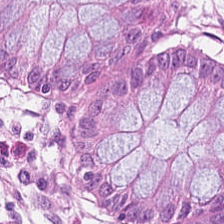Stain: H&E-stained tissue section.
Preparation: formalin-fixed paraffin-embedded section.
Tissue type: normal colon mucosa.
